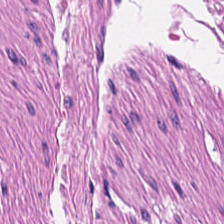H&E stain · brightfield.
Showing smooth muscle.
